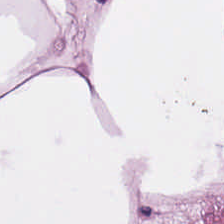0.5 microns per pixel · H&E stain. Predominantly adipocytes.
